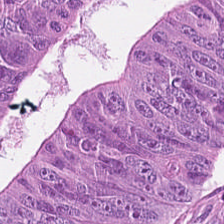H&E-stained tissue section · 0.5 µm per pixel.
Q: What tissue type is shown here?
A: This is tumor epithelium.
